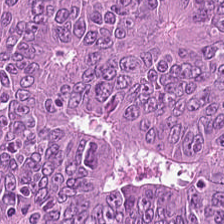H&E stain · FFPE · 0.5 microns per pixel. This patch shows colorectal adenocarcinoma.
